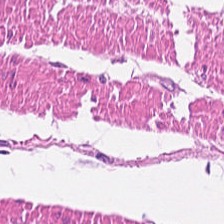Q: What type of tissue is this?
A: It is muscularis.
